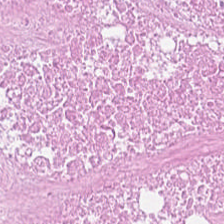H&E — Q: What is shown in this field?
A: The field shows cellular debris.
